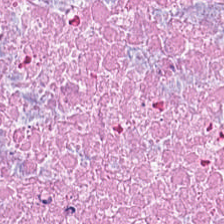This patch shows debris.
